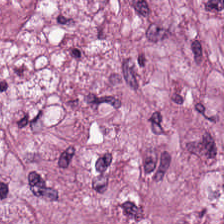WSI patch. H&E — The tissue here is cancer-associated stroma.
